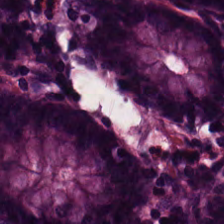WSI patch. 224×224 px tile. H&E-stained tissue section. The predominant tissue is normal colon mucosa.
